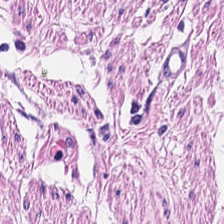Hematoxylin-and-eosin stained section; 0.5 µm/px; formalin-fixed paraffin-embedded section. This field is smooth-muscle tissue.
